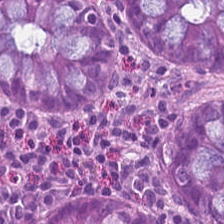H&E-stained tissue section.
Q: What is the predominant tissue type?
A: The field shows normal colonic mucosa.
